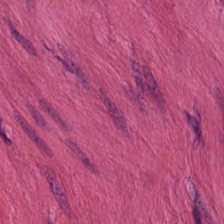Stain: H&E-stained tissue section.
Tissue class: muscularis.
